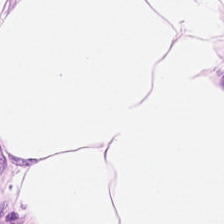Brightfield · H&E stain.
The tissue is adipocytes.
